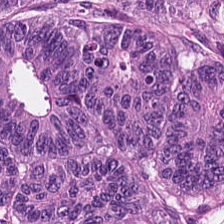Hematoxylin-and-eosin stained section. Histology → tumor epithelium.
